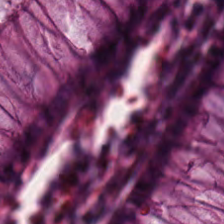H&E patch showing non-neoplastic colon mucosa.
